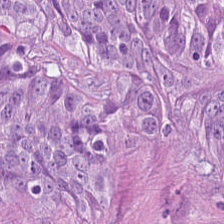Hematoxylin-and-eosin stained section; 0.5 µm/px.
This field is malignant epithelium.
